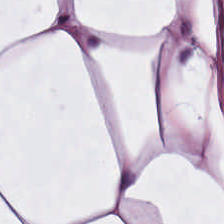Hematoxylin and eosin. Adipocytes.
